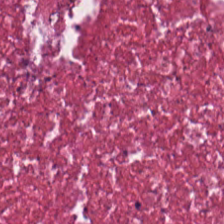H&E.
Predominantly tumor stroma.
